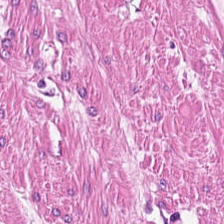Hematoxylin and eosin.
Predominantly smooth-muscle tissue.
